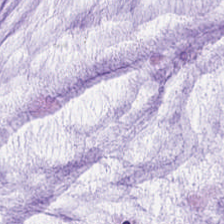Hematoxylin-and-eosin stained section. Tissue = extracellular mucin.
